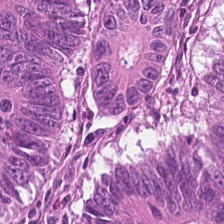Hematoxylin-and-eosin stained section. Histology → adenocarcinoma.
